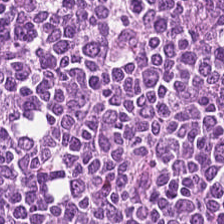Predominant tissue — lymphocytes.
